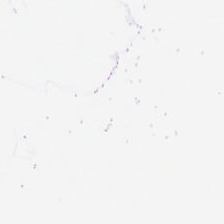Hematoxylin-and-eosin stained section. This patch shows empty background.
